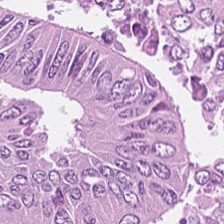H&E-stained tissue section; 224×224 px tile.
{"tissue_type": "colorectal adenocarcinoma epithelium"}
